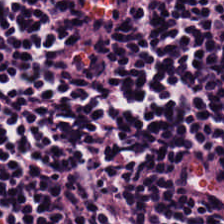H&E; 224×224 px patch — This patch shows lymphocytes.
